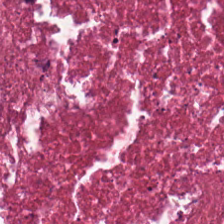0.5 µm/px · hematoxylin and eosin · whole-slide-image patch — {"tissue_type": "debris"}
